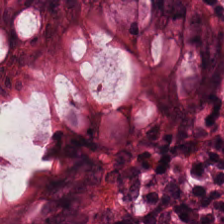H&E.
The predominant tissue is normal colon mucosa.
